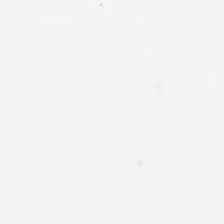FFPE. Brightfield. H&E-stained tissue section.
Finding — no tissue.
